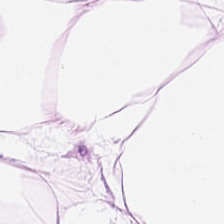Hematoxylin-and-eosin stained section — Q: What is shown here?
A: Adipose.
